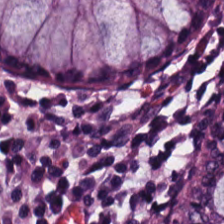Q: What tissue type is shown here?
A: It is benign colonic mucosa.
